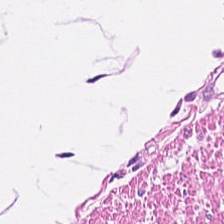H&E-stained tissue section — Tissue type — smooth muscle.
